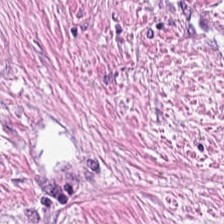Stain: hematoxylin and eosin.
Tile size: 224×224 pixel tile.
Preparation: FFPE tissue section.
Tissue: cancer-associated stroma.
